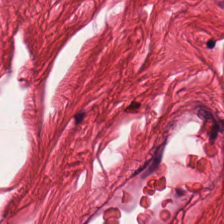Finding — muscularis.
